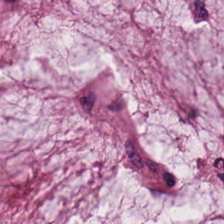H&E stain; brightfield.
Showing extracellular mucin.
